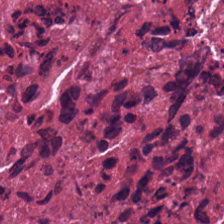Hematoxylin-and-eosin stained section. 224×224 pixel tile — The predominant tissue is cellular debris.
